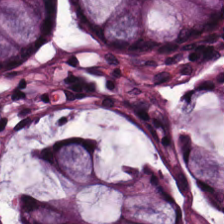Stain: hematoxylin-and-eosin stained section.
Predominant tissue: normal colon mucosa.
